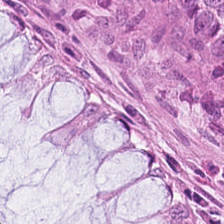Stain: H&E-stained tissue section.
Predominant tissue: normal colon mucosa.
